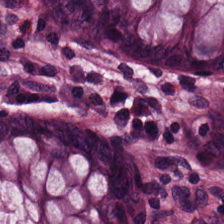H&E. The tissue here is normal colon mucosa.
